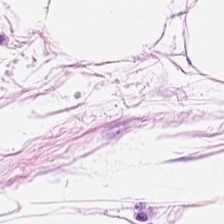H&E stain; 224×224 px tile — Predominantly adipocytes.
